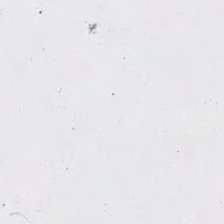Background.
